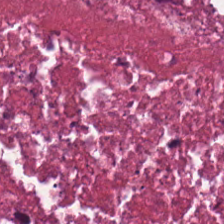H&E-stained tissue section.
Predominantly cellular debris.
